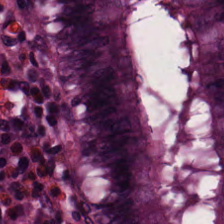Q: What tissue type is shown here?
A: It is benign colonic mucosa.
